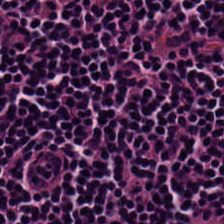H&E. 0.5 µm per pixel.
Showing lymphocyte aggregate.
